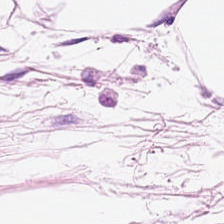H&E-stained tissue section.
Tissue class = fat tissue.
